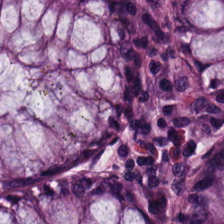Q: What tissue is shown?
A: This is normal colon mucosa.
